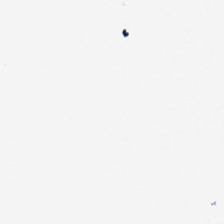224×224 px patch · hematoxylin and eosin.
{"content": "background"}
